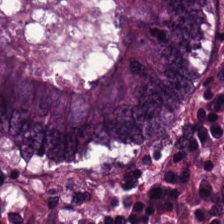0.5 µm/px; 224×224 px tile; hematoxylin-and-eosin stained section — This patch shows malignant epithelium.
